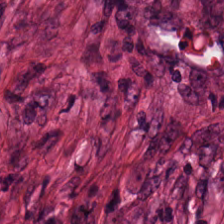H&E stain. Q: What is shown here?
A: It is tumor-associated stroma.
